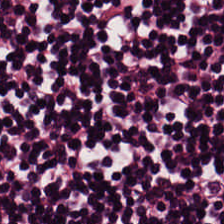FFPE tissue section · H&E-stained tissue section — Finding — lymphocyte aggregate.
